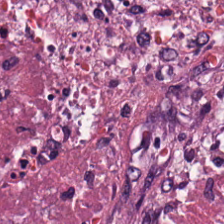0.5 microns per pixel; H&E.
The tissue is debris.
